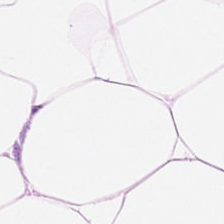The predominant tissue is adipose.
